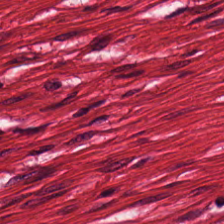Hematoxylin and eosin; formalin-fixed paraffin-embedded section; WSI patch.
This field is smooth-muscle tissue.
